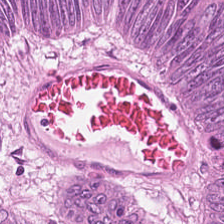20× equivalent magnification; H&E-stained tissue section — Q: What is shown here?
A: It is malignant epithelium.
